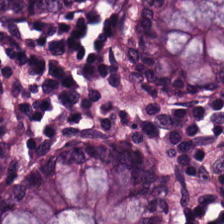The tissue here is benign colonic mucosa.
